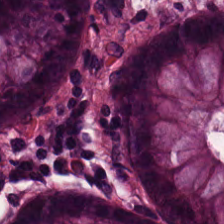H&E stain.
Tissue class = normal colon mucosa.
